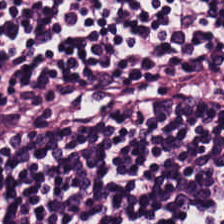This patch shows lymphoid infiltrate.
